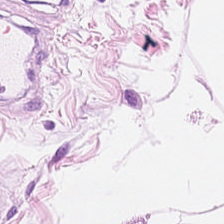The predominant tissue is adipose.
